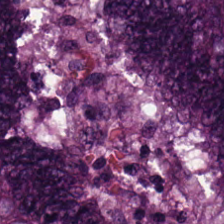Hematoxylin and eosin — Tissue class: malignant epithelium.
